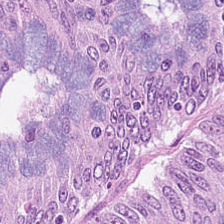Hematoxylin-and-eosin stained section · 224×224 pixel tile.
Tissue class — tumor epithelium.
